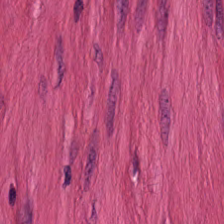Impression — smooth muscle.
